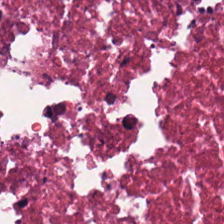H&E stain.
This patch shows necrotic debris.
